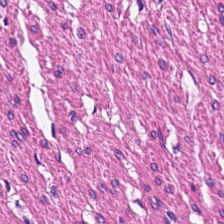Tissue class = smooth-muscle tissue.
